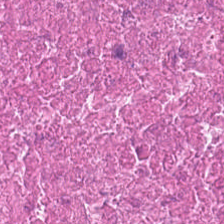H&E-stained tissue section. 224×224 px patch.
The predominant tissue is necrotic debris.
